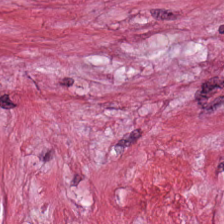Predominant tissue — desmoplastic stroma.
